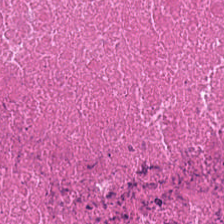Stain: H&E stain.
Tissue class: debris.
